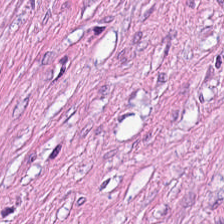Impression — tumor stroma.
